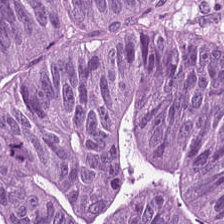Hematoxylin and eosin — Showing colorectal adenocarcinoma epithelium.
